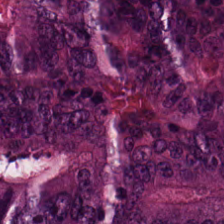0.5 microns per pixel; brightfield; H&E — Tissue type: adenocarcinoma.
